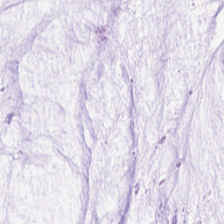Impression — mucin.
